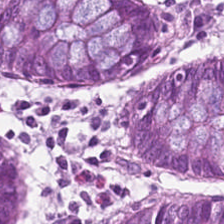H&E stain. 224×224 px patch. FFPE — The tissue is non-neoplastic colon mucosa.
